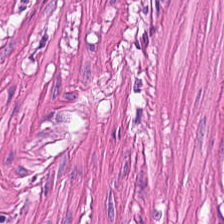Hematoxylin-and-eosin stained section; 0.5 µm/px.
{"tissue_type": "smooth-muscle tissue"}
